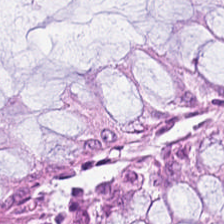Formalin-fixed paraffin-embedded section. H&E — Predominant tissue — non-neoplastic colon mucosa.
